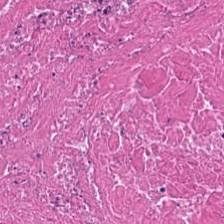Hematoxylin and eosin. Tissue type: necrotic debris.
